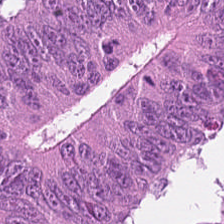H&E — This patch shows colorectal adenocarcinoma.
